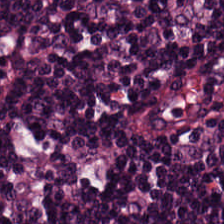FFPE tissue section; hematoxylin and eosin.
This patch shows lymphocyte aggregate.
